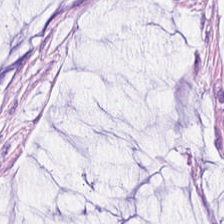Hematoxylin and eosin.
Classification: extracellular mucin.
